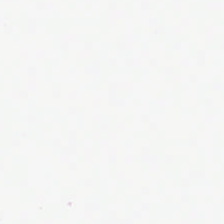The content is background.
